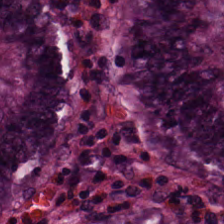20× equivalent magnification · hematoxylin-and-eosin stained section — The tissue class is non-neoplastic colon mucosa.
